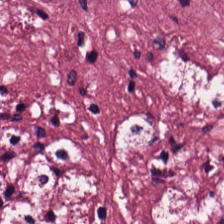H&E-stained tissue section — The predominant tissue is tumor stroma.
